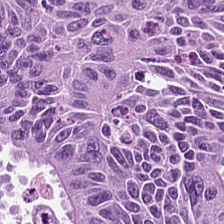Stain: H&E stain.
Tile size: 224×224 px patch.
Resolution: 0.5 µm/px.
Classification: colorectal adenocarcinoma epithelium.
